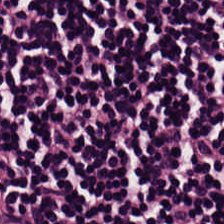Stain: hematoxylin and eosin.
Acquisition: WSI patch.
Tissue type: lymphocytes.
